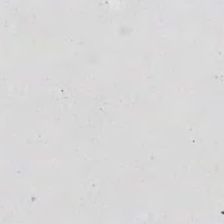H&E stain. No tissue present; background only.
